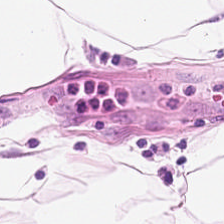0.5 µm per pixel; H&E.
Adipose tissue.
